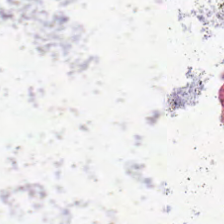Stain: hematoxylin-and-eosin stained section.
Field content: background (no tissue).
